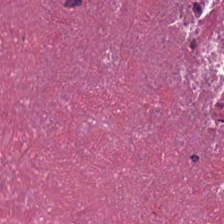Stain: hematoxylin-and-eosin stained section.
Resolution: 0.5 µm/px.
Tissue: necrotic debris.
